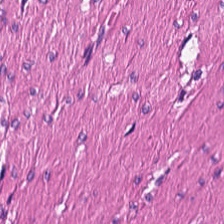Tissue class: smooth muscle.
